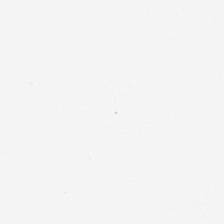H&E stain.
Impression — no tissue.
